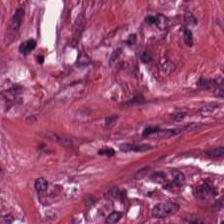Stain: H&E stain.
Tissue class: desmoplastic stroma.
